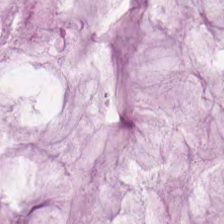H&E-stained tissue section. Predominantly mucin.
